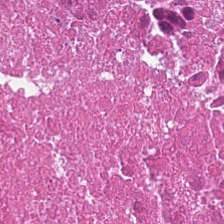FFPE tissue section · hematoxylin-and-eosin stained section — The tissue class is necrotic debris.
